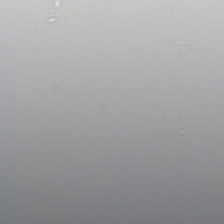H&E — Empty field — empty background.
